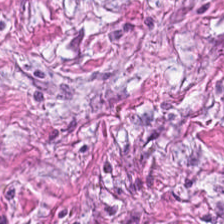Hematoxylin-and-eosin stained section. Q: What is shown in this field?
A: The field shows desmoplastic stroma.
